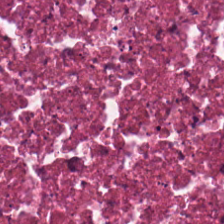Hematoxylin and eosin · whole-slide-image patch — This patch shows debris.
